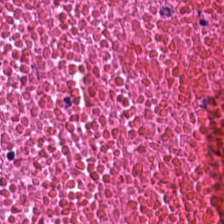H&E stain.
The predominant tissue is debris.
